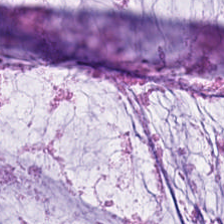Hematoxylin-and-eosin stained section.
Classification — extracellular mucin.
